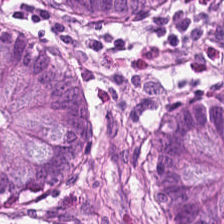Stain: H&E.
Tissue: normal colonic mucosa.
